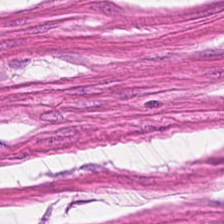Hematoxylin-and-eosin stained section — Impression → smooth muscle.
